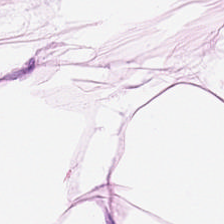Stain: H&E-stained tissue section.
Tissue class: adipose tissue.
